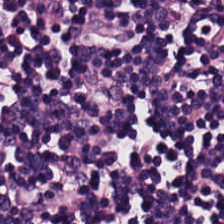Stain: H&E-stained tissue section.
Tile size: 224×224 px patch.
Preparation: FFPE tissue section.
Classification: lymphocyte aggregate.
